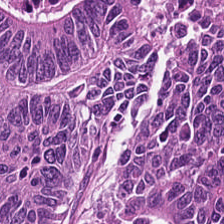Histology → adenocarcinoma.
